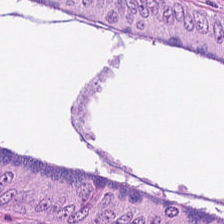224×224 px patch · H&E stain · FFPE tissue section. Predominantly colorectal adenocarcinoma.
